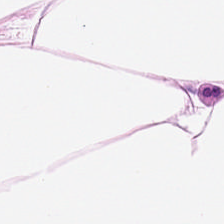Q: What tissue is shown?
A: The field shows adipose tissue.
